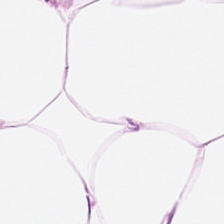Formalin-fixed paraffin-embedded section · 224×224 pixel tile · H&E stain.
Predominantly fat tissue.
